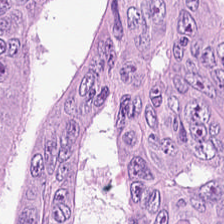Showing colorectal adenocarcinoma.
